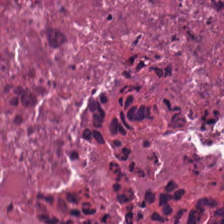H&E stain. Q: What is the predominant tissue type?
A: The field shows debris.
